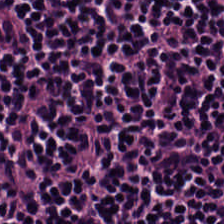Hematoxylin and eosin; 0.5 µm/px; 224×224 px patch. Predominantly lymphocytic infiltrate.
